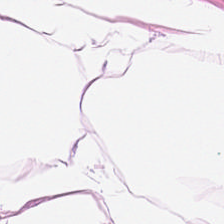FFPE · H&E-stained tissue section · 0.5 µm per pixel.
Predominantly adipocytes.
